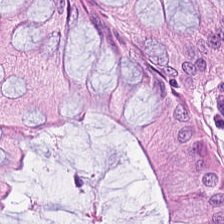Hematoxylin-and-eosin stained section. 224×224 pixel tile.
Tissue class — benign colonic mucosa.
